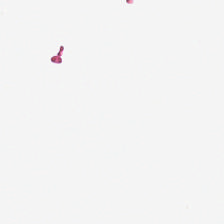Field content: no tissue.
